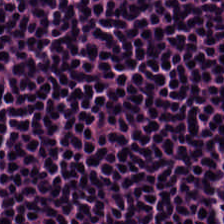H&E. Brightfield microscopy — This patch shows lymphocytes.
